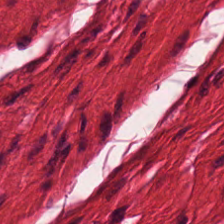Hematoxylin and eosin · brightfield · 224×224 px tile. Predominant tissue: smooth muscle.
